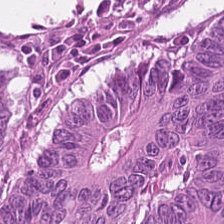Formalin-fixed paraffin-embedded section · H&E-stained tissue section. Histology — colorectal adenocarcinoma epithelium.
